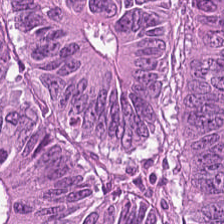H&E-stained tissue section. The predominant tissue is malignant epithelium.
